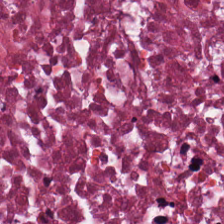{"tissue_type": "debris"}
